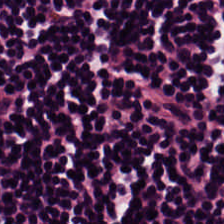Hematoxylin-and-eosin stained section. Brightfield. 0.5 microns per pixel — Finding → lymphocyte aggregate.
